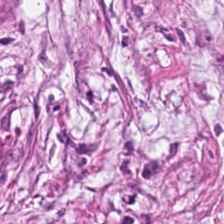Stain: hematoxylin and eosin.
Classification: tumor-associated stroma.
